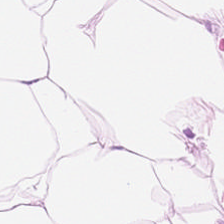Showing adipose.
